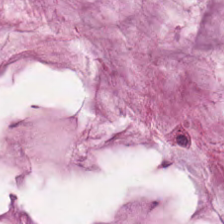Predominant tissue: extracellular mucin.
